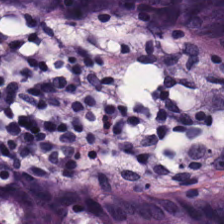H&E-stained tissue section.
Predominant tissue — non-neoplastic colon mucosa.
